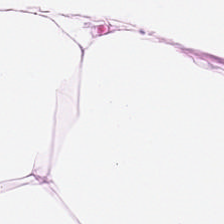H&E — Q: What is shown here?
A: Adipose tissue.
